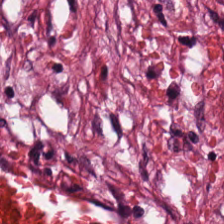H&E-stained tissue section.
This field is desmoplastic stroma.
